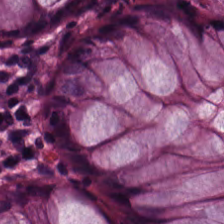H&E-stained tissue section · 224×224 pixel tile — Predominant tissue — benign colonic mucosa.
